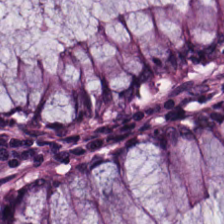{"tissue_type": "normal colonic mucosa"}
